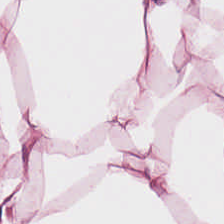Hematoxylin-and-eosin stained section · FFPE tissue section — This patch shows fat tissue.
